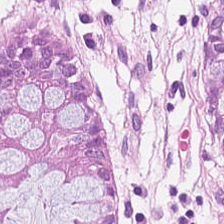Whole-slide-image patch. H&E-stained tissue section. The predominant tissue is normal colonic mucosa.
